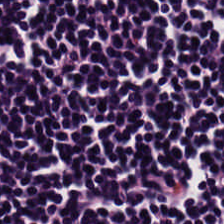H&E stain.
This field is lymphocyte aggregate.
